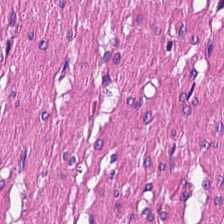Hematoxylin and eosin · brightfield.
Impression → smooth muscle.
